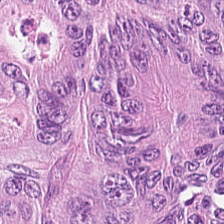224×224 pixel tile. Hematoxylin and eosin — The predominant tissue is colorectal adenocarcinoma epithelium.
